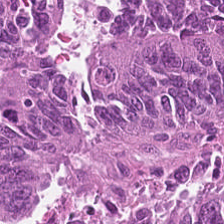H&E-stained tissue section · 224×224 px patch · 0.5 µm per pixel — Tissue type — tumor epithelium.
